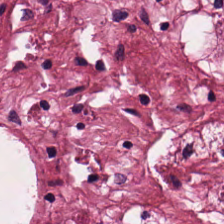H&E.
This field is desmoplastic stroma.
